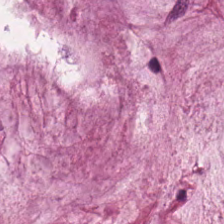Q: What is shown in this field?
A: It is mucus.
